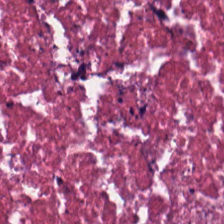Stain: H&E.
Tile size: 224×224 px tile.
Tissue: necrotic debris.
